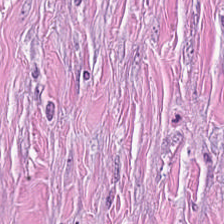WSI patch; hematoxylin and eosin. This patch shows tumor-associated stroma.
